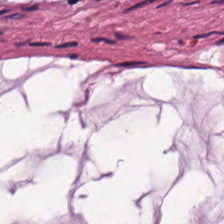Hematoxylin-and-eosin stained section · 224×224 pixel tile — Q: What is shown here?
A: It is mucin.
